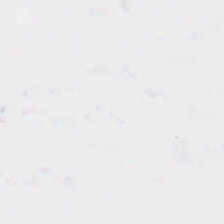WSI patch; H&E. Background — no tissue in this field.
